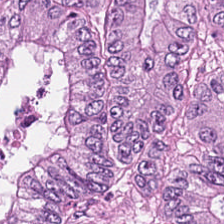Q: What tissue is shown?
A: This is adenocarcinoma.
